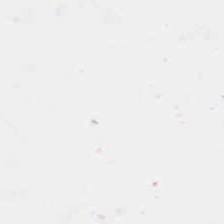0.5 µm per pixel · brightfield microscopy · H&E stain — Finding → empty background.
